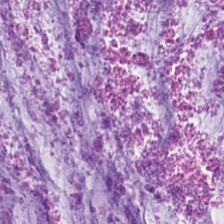Hematoxylin-and-eosin stained section; 224×224 pixel tile.
This field is mucus.
